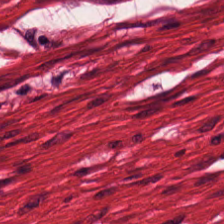20× equivalent magnification. H&E stain. FFPE — Showing muscularis.
